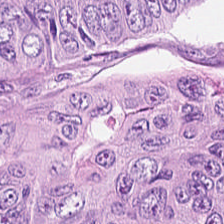H&E-stained section; the field shows adenocarcinoma.
